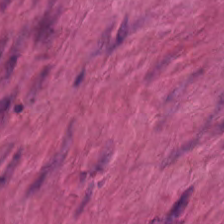0.5 microns per pixel. Hematoxylin and eosin. Finding → muscularis.
